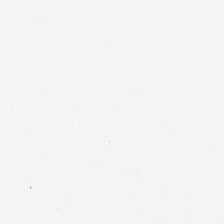Hematoxylin-and-eosin stained section — This patch shows no tissue.
